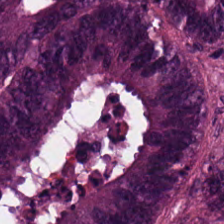Impression — colorectal adenocarcinoma.
